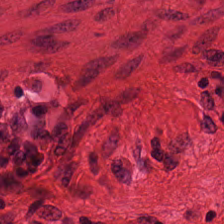Finding — smooth muscle.
